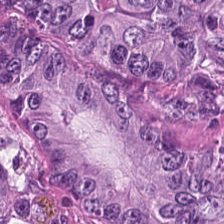Hematoxylin-and-eosin stained section · 0.5 µm/px — This patch shows malignant epithelium.
